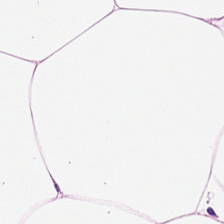This patch shows adipose tissue.
